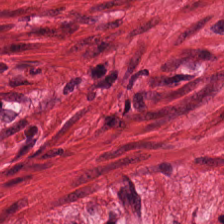H&E stain — This patch shows smooth-muscle tissue.
